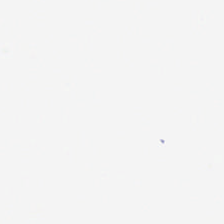Content = no tissue.
